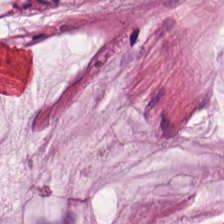H&E — Tissue class = mucin.
